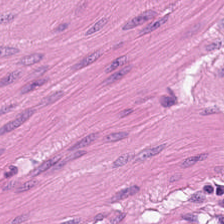Hematoxylin and eosin · 224×224 px patch. Finding — smooth muscle.
